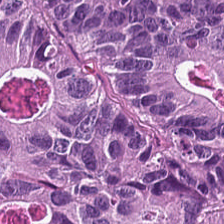H&E stain — Tissue type = adenocarcinoma.
